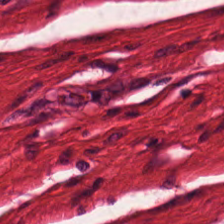Histology → smooth muscle.
